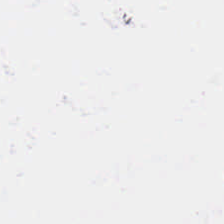H&E. No tissue present; background only.
